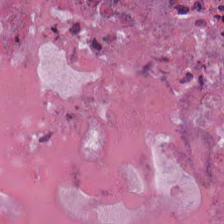Hematoxylin-and-eosin stained section · whole-slide-image patch · 0.5 µm/px.
Q: What is shown here?
A: This is necrotic debris.
